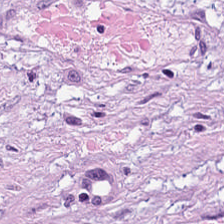H&E; 224×224 pixel tile; 20× equivalent magnification. Tissue: desmoplastic stroma.
